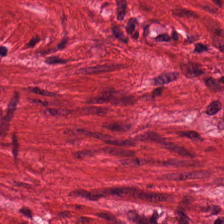H&E stain — Showing muscularis.
